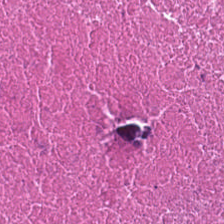WSI patch · 224×224 px tile · H&E stain — Q: What is shown here?
A: It is cellular debris.
